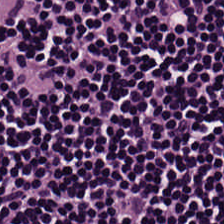Hematoxylin-and-eosin stained section.
The tissue here is lymphocytes.
